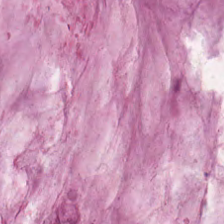H&E · 224×224 px patch.
Tissue type = mucin.
